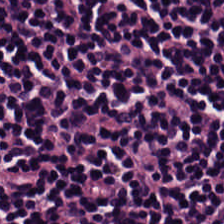224×224 px patch. H&E-stained tissue section — Q: What tissue is shown?
A: This is lymphoid infiltrate.
